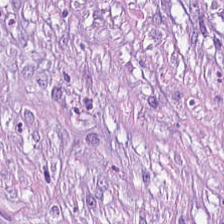H&E stain — Q: What tissue type is shown here?
A: It is tumor stroma.
